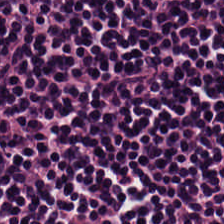H&E-stained tissue section. Tissue class: lymphoid infiltrate.
